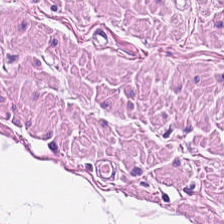Hematoxylin-and-eosin stained section.
Predominantly smooth-muscle tissue.
